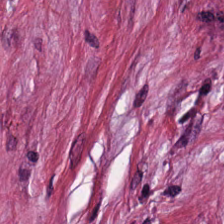20× equivalent magnification. H&E stain. Brightfield. Tumor stroma.
